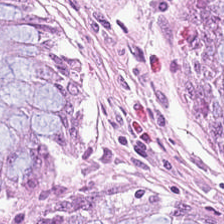0.5 µm/px. H&E stain.
Q: What tissue type is shown here?
A: This is benign colonic mucosa.
